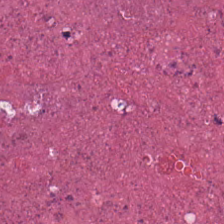Cellular debris.
